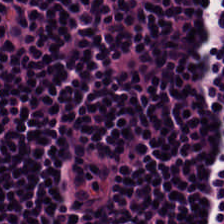H&E-stained tissue section. Whole-slide-image patch.
Histology → lymphocytic infiltrate.
